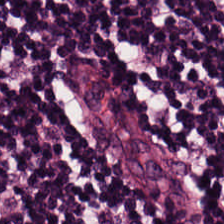Q: What tissue type is shown here?
A: Lymphocytic infiltrate.
